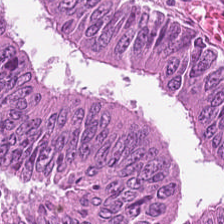H&E. Impression — colorectal adenocarcinoma.
